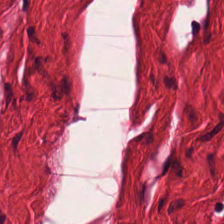Muscularis.
